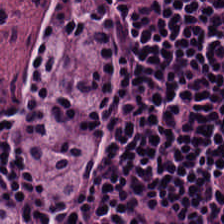Stain: hematoxylin-and-eosin stained section.
Acquisition: WSI patch.
Tissue class: lymphocytes.
